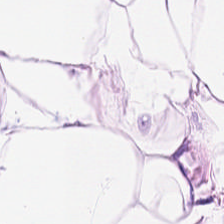H&E.
The tissue here is adipose.
